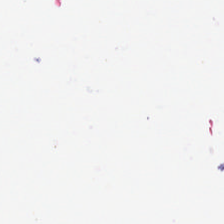H&E; 0.5 microns per pixel; FFPE. Histology — empty background.
